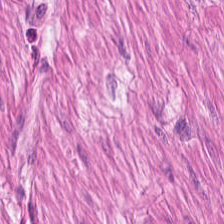Hematoxylin and eosin — Classification = muscularis.
